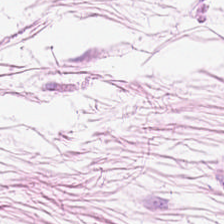Hematoxylin-and-eosin stained section · brightfield — Predominantly adipocytes.
